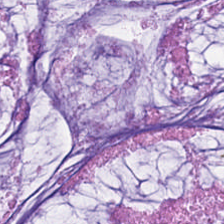Histology — mucin.
